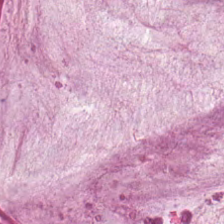224×224 px tile · hematoxylin and eosin.
The predominant tissue is extracellular mucin.
